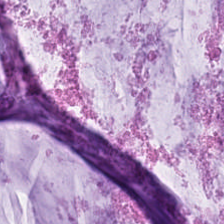Hematoxylin-and-eosin stained section; FFPE tissue section. Tissue type = mucus.
